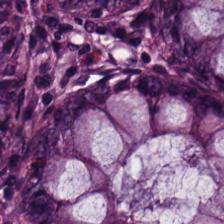Hematoxylin-and-eosin stained section.
This patch shows normal colonic mucosa.
